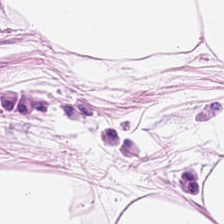Predominantly adipose.
